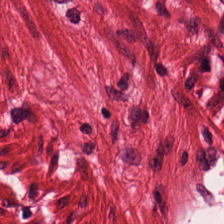0.5 µm per pixel · hematoxylin and eosin. {"tissue_type": "muscularis"}
